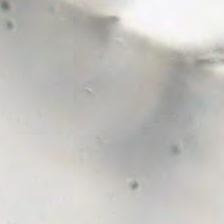Q: Classify this patch.
A: This is background (no tissue).
